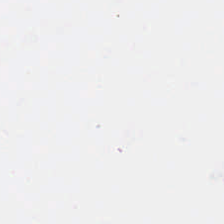H&E. Q: What does this patch show?
A: This is background.
